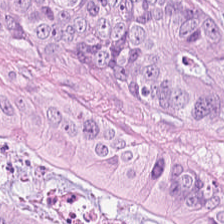Hematoxylin-and-eosin stained section. WSI patch.
Histology — colorectal adenocarcinoma.
